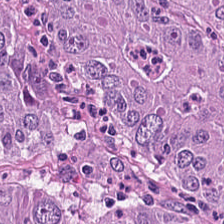H&E.
This patch shows colorectal adenocarcinoma.
